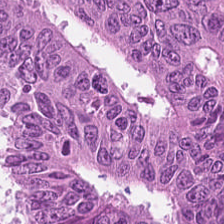H&E-stained tissue section; FFPE tissue section — This patch shows colorectal adenocarcinoma epithelium.
